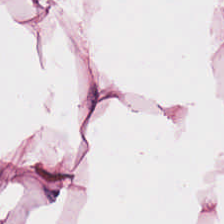H&E — Histology — adipose tissue.
